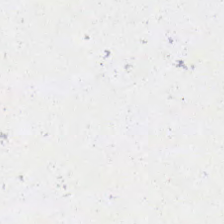The content is background.
